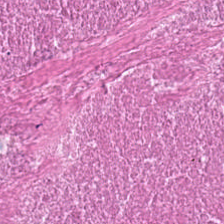H&E-stained tissue section.
Q: What type of tissue is this?
A: It is necrotic debris.
